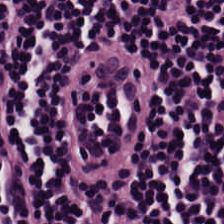H&E-stained tissue section. 0.5 µm per pixel. Predominant tissue: lymphocytic infiltrate.
